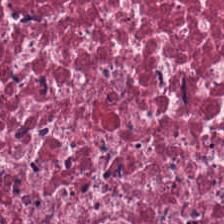0.5 µm/px; FFPE tissue section; hematoxylin and eosin. The tissue here is desmoplastic stroma.
